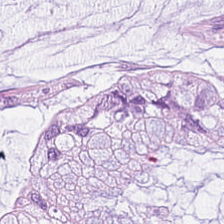H&E-stained tissue section — Histology — mucus.
